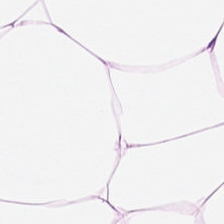Fat tissue.
